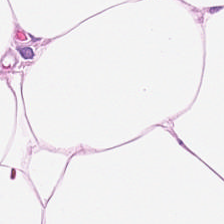Tissue class: fat tissue.
